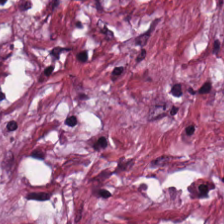Tissue class = desmoplastic stroma.
